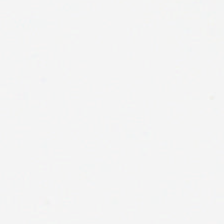Hematoxylin and eosin.
No tissue.
